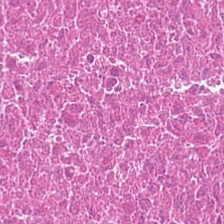Hematoxylin-and-eosin stained section; 0.5 µm/px. This patch shows necrotic debris.
